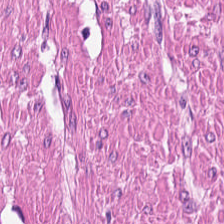H&E-stained tissue section · brightfield.
Finding → smooth-muscle tissue.
